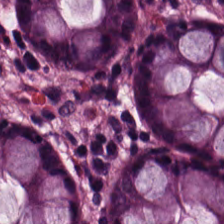H&E.
Classification = normal colon mucosa.
